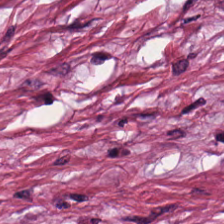Formalin-fixed paraffin-embedded section; H&E stain — The predominant tissue is cancer-associated stroma.
